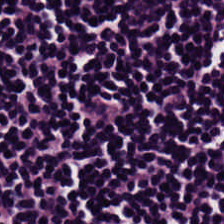H&E-stained tissue section — Finding → lymphoid infiltrate.
